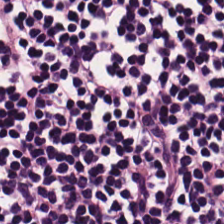H&E-stained tissue section. Brightfield.
Q: What is shown here?
A: Lymphocytes.
